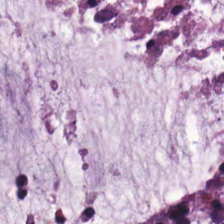224×224 pixel tile. 0.5 µm/px. H&E stain. Classification — mucus.
